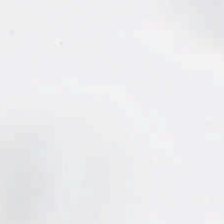Empty field — empty background.
